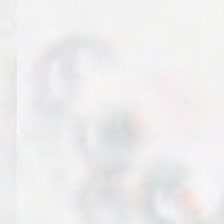Q: What does this patch show?
A: The field shows background.
